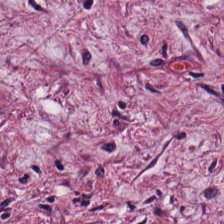Hematoxylin and eosin. FFPE. Impression → tumor-associated stroma.
